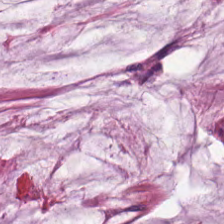H&E-stained tissue section. The tissue here is extracellular mucin.
